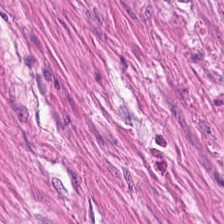Hematoxylin-and-eosin stained section. Tissue — smooth-muscle tissue.
